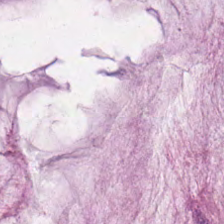H&E-stained tissue section.
Tissue type: extracellular mucin.
